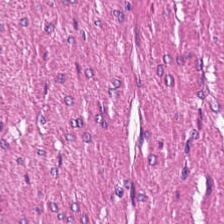Stain: H&E.
Predominant tissue: muscularis.
